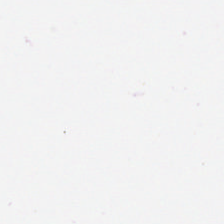224×224 px patch; H&E stain.
Field content = no tissue.
